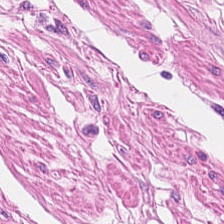Stain: hematoxylin-and-eosin stained section.
Preparation: FFPE tissue section.
Acquisition: brightfield microscopy.
Tissue: smooth muscle.
